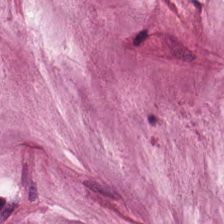H&E stain. 224×224 px tile — Showing mucus.
